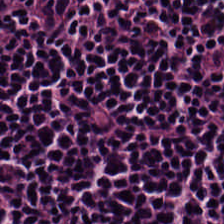H&E-stained tissue section. 0.5 µm per pixel.
The predominant tissue is lymphoid infiltrate.
